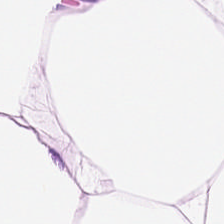20× equivalent magnification. H&E. 224×224 px tile.
Showing fat tissue.
